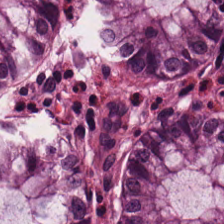Hematoxylin and eosin · 224×224 px patch · FFPE.
The tissue here is benign colonic mucosa.
